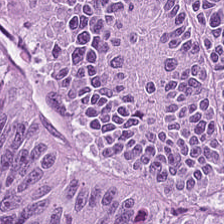Stain: hematoxylin and eosin.
Tissue: colorectal adenocarcinoma epithelium.
